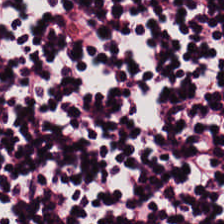Hematoxylin and eosin · FFPE. This field is lymphocytes.
